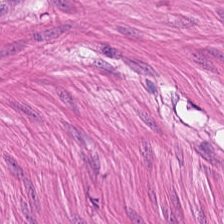Q: What is shown here?
A: Smooth-muscle tissue.
